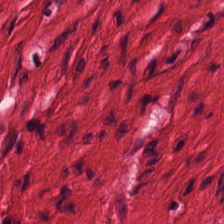0.5 µm/px. H&E — Tissue — smooth-muscle tissue.
